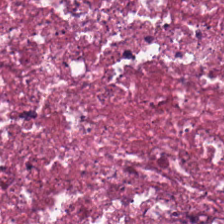The tissue here is debris.
